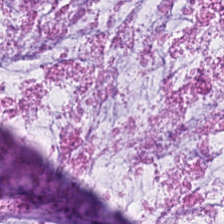Brightfield · hematoxylin-and-eosin stained section. The predominant tissue is mucin.
